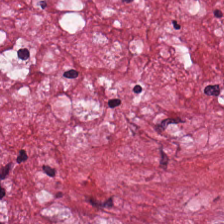This field is tumor-associated stroma.
